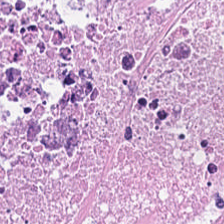H&E; whole-slide-image patch; formalin-fixed paraffin-embedded section.
Tissue class = cellular debris.
